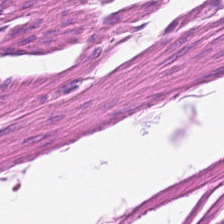H&E stain; 0.5 microns per pixel. Q: What tissue type is shown here?
A: This is muscularis.
